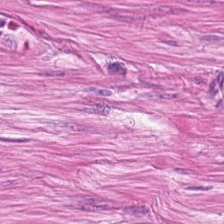Hematoxylin and eosin — Predominant tissue = muscularis.
